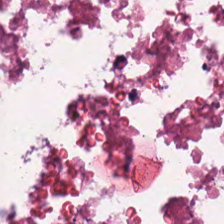H&E — Impression — cellular debris.
